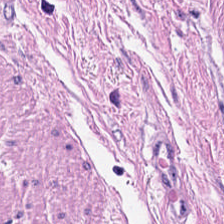0.5 µm per pixel. H&E stain. Predominantly smooth-muscle tissue.
